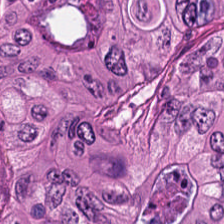Hematoxylin-and-eosin stained section.
Showing malignant epithelium.
